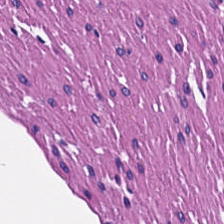H&E stain.
This patch shows muscularis.
